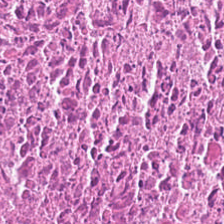H&E-stained tissue section.
Q: Identify the tissue.
A: Debris.
